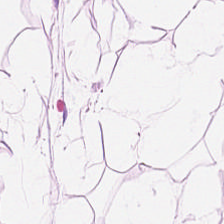This patch shows adipose tissue.
